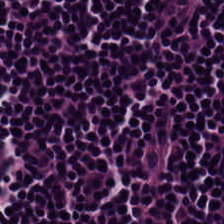Formalin-fixed paraffin-embedded section · hematoxylin-and-eosin stained section. This patch shows lymphocytic infiltrate.
